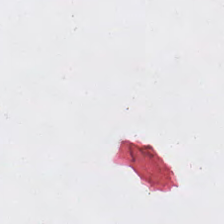Stain: H&E stain.
Field content: no tissue.
